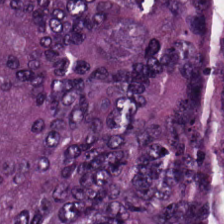Hematoxylin-and-eosin stained section.
Classification — colorectal adenocarcinoma.
